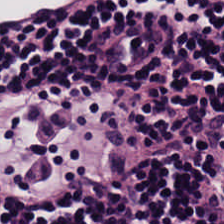H&E-stained tissue section — Tissue — lymphocyte aggregate.
